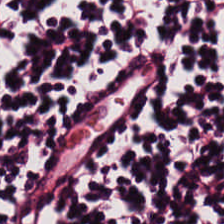Formalin-fixed paraffin-embedded section; hematoxylin and eosin. The tissue here is lymphocytic infiltrate.
